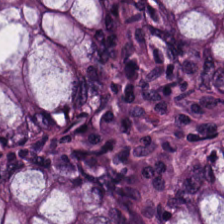H&E stain — Non-neoplastic colon mucosa.
